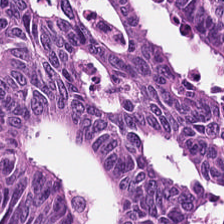H&E · WSI patch — Classification = adenocarcinoma.
